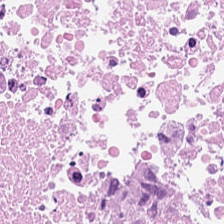Impression — debris.
